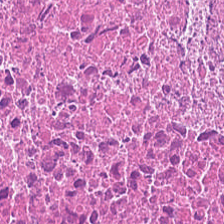H&E stain · 224×224 pixel tile · brightfield — Tissue = cellular debris.
